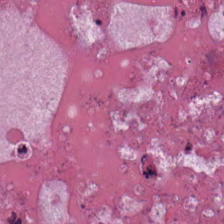H&E stain — Classification — cellular debris.
